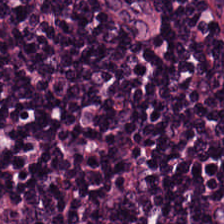H&E-stained tissue section showing lymphocytes.
